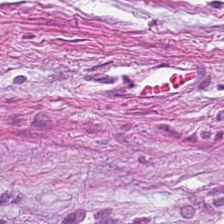H&E stain.
Q: What type of tissue is this?
A: It is desmoplastic stroma.
